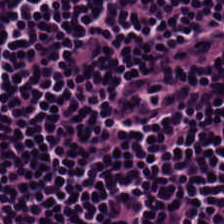Hematoxylin-and-eosin stained section · 224×224 pixel tile. Classification — lymphocytic infiltrate.
